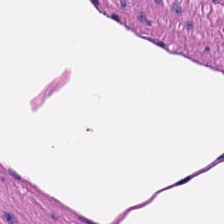Formalin-fixed paraffin-embedded section; H&E stain — Q: Classify this patch.
A: It is smooth muscle.
